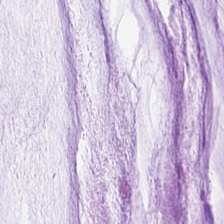Mucin.
